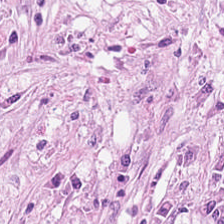0.5 µm per pixel. 224×224 pixel tile. H&E.
Tissue = tumor-associated stroma.
